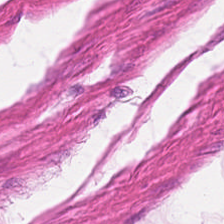Hematoxylin and eosin — This patch shows smooth-muscle tissue.
